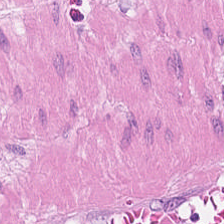H&E stain; 224×224 px tile. This field is muscularis.
